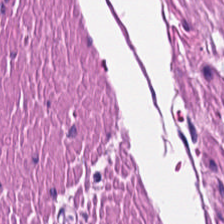Muscularis.
